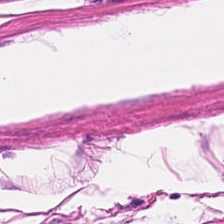Hematoxylin-and-eosin stained section. 224×224 pixel tile. 20× equivalent magnification.
Q: What tissue is shown?
A: The field shows smooth-muscle tissue.
